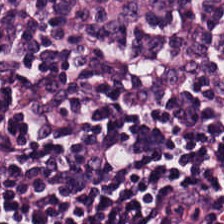Hematoxylin and eosin.
Impression — lymphocyte aggregate.
